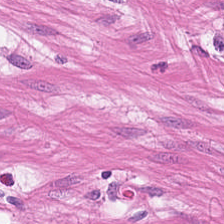Q: What is shown here?
A: The field shows smooth muscle.
